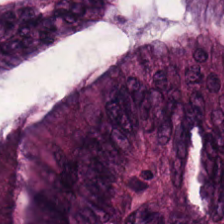Hematoxylin-and-eosin stained section; 224×224 px patch.
Predominant tissue: colorectal adenocarcinoma.
